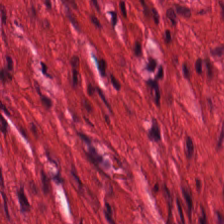Brightfield · H&E stain.
Q: What is shown in this field?
A: This is smooth-muscle tissue.
